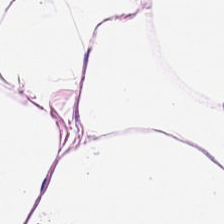Stain: H&E.
Predominant tissue: adipocytes.
